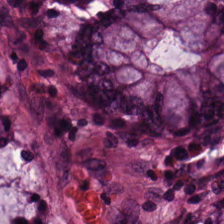Hematoxylin and eosin.
Classification = benign colonic mucosa.
